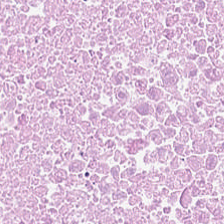Hematoxylin-and-eosin stained section — Impression — cellular debris.
